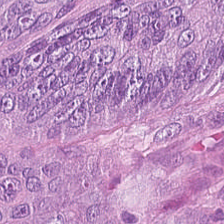H&E-stained tissue section.
Showing tumor epithelium.
